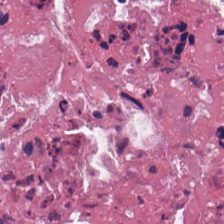Stain: H&E stain.
Tissue class: debris.
